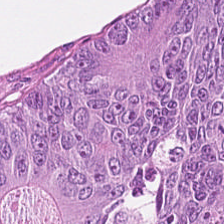Q: What is shown here?
A: The field shows adenocarcinoma.
